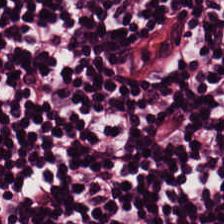FFPE tissue section. Hematoxylin-and-eosin stained section. {"tissue_type": "lymphocytic infiltrate"}
